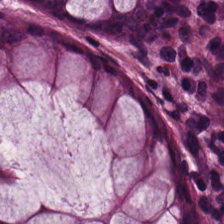H&E.
This patch shows normal colonic mucosa.
